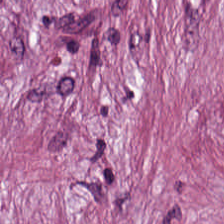H&E-stained tissue section.
Q: What is shown here?
A: It is cancer-associated stroma.
